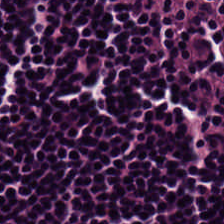The tissue is lymphocytic infiltrate.
